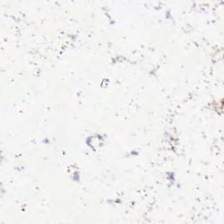H&E — Content — empty background.
